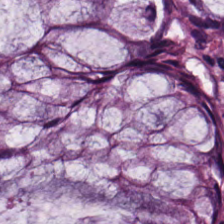H&E stain. Impression — normal colon mucosa.
